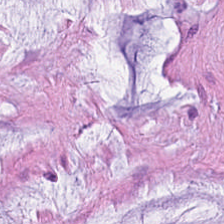0.5 microns per pixel; H&E stain; 224×224 px tile.
Q: What type of tissue is this?
A: The field shows mucus.
